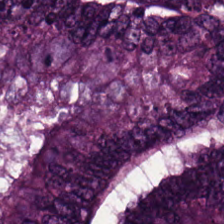Hematoxylin-and-eosin stained section — Finding — malignant epithelium.
